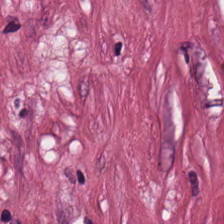FFPE tissue section. H&E-stained tissue section. 224×224 pixel tile. The predominant tissue is tumor stroma.
